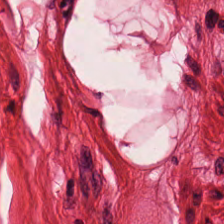0.5 µm/px · brightfield microscopy · hematoxylin and eosin. Classification — muscularis.
